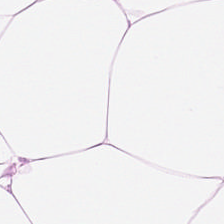H&E. 20× equivalent magnification. FFPE tissue section.
This field is adipocytes.
